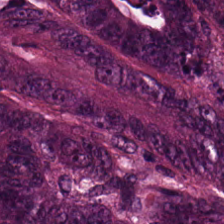Hematoxylin-and-eosin stained section · 0.5 µm/px · FFPE tissue section — The tissue is adenocarcinoma.
